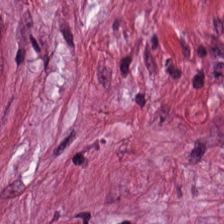H&E-stained tissue section.
Predominant tissue — cancer-associated stroma.
